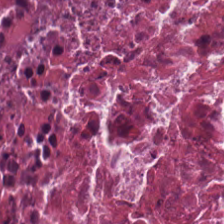Hematoxylin and eosin · brightfield.
Predominantly necrotic debris.
